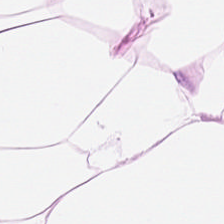0.5 µm/px; H&E-stained tissue section. Showing adipocytes.
